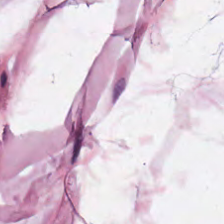Hematoxylin-and-eosin stained section — Q: Classify this patch.
A: This is fat tissue.
